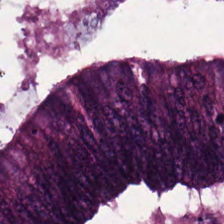Hematoxylin-and-eosin stained section. 224×224 pixel tile — Tissue type: adenocarcinoma.
